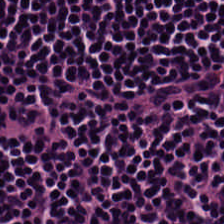H&E. Q: Classify this patch.
A: Lymphocyte aggregate.
